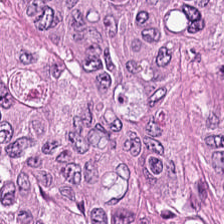Q: What type of tissue is this?
A: It is colorectal adenocarcinoma.
